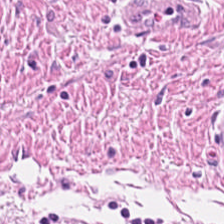H&E. 0.5 µm per pixel. 224×224 px tile.
Showing smooth muscle.
